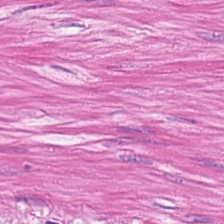0.5 µm per pixel · H&E.
{"tissue_type": "muscularis"}
